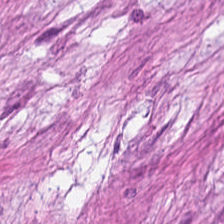Hematoxylin-and-eosin stained section. This patch shows desmoplastic stroma.
